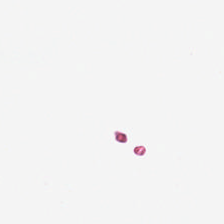H&E. Finding → background (no tissue).
